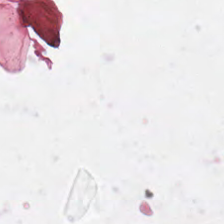H&E. Q: What is shown in this field?
A: No tissue.
